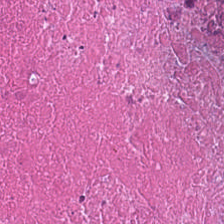Stain: hematoxylin and eosin.
Tissue: cellular debris.
